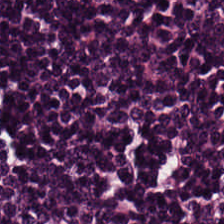WSI patch · FFPE tissue section · H&E-stained tissue section. The predominant tissue is lymphocyte aggregate.
